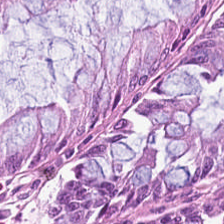Tissue: benign colonic mucosa.
